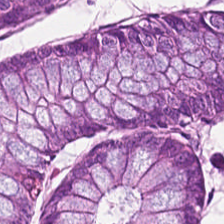Hematoxylin and eosin — Showing benign colonic mucosa.
